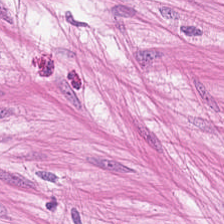224×224 px tile; brightfield; H&E stain. The tissue type is muscularis.
